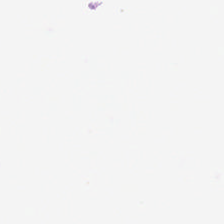H&E.
This patch shows empty background.
